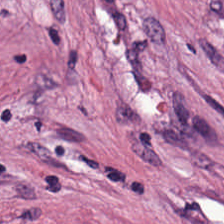Hematoxylin-and-eosin stained section.
Tissue type — cancer-associated stroma.
